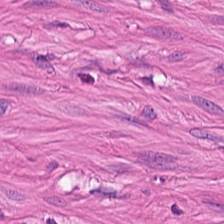Q: What tissue is shown?
A: This is muscularis.
